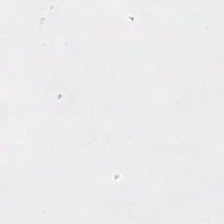Hematoxylin and eosin; brightfield; 0.5 µm per pixel.
Classification: background (no tissue).
